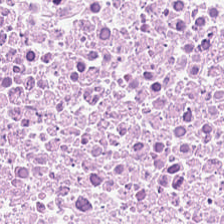Hematoxylin-and-eosin stained section; WSI patch.
The predominant tissue is cellular debris.
